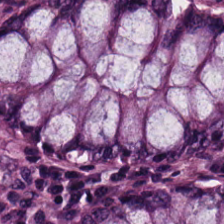H&E stain — Classification — normal colon mucosa.
